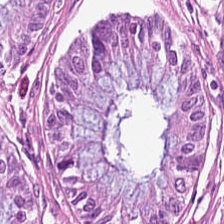Hematoxylin and eosin.
Q: Classify this patch.
A: It is normal colonic mucosa.
